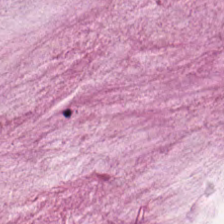H&E stain · 224×224 px patch.
{"tissue_type": "mucin"}
